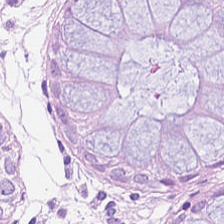H&E — normal colonic mucosa.
